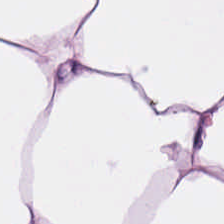Hematoxylin-and-eosin stained section · 0.5 µm/px. Q: What is shown here?
A: Adipocytes.
